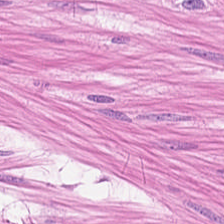Hematoxylin and eosin.
This field is smooth-muscle tissue.
